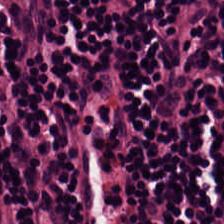Hematoxylin-and-eosin stained section — Tissue type = lymphocytes.
